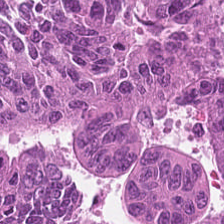H&E stain. Tissue class = malignant epithelium.
